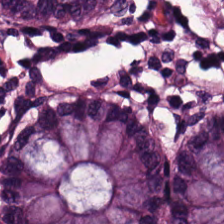Q: What tissue is shown?
A: This is non-neoplastic colon mucosa.
